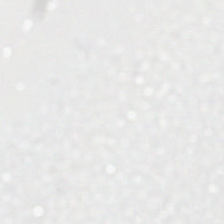H&E-stained tissue section · whole-slide-image patch — Impression — empty background.
